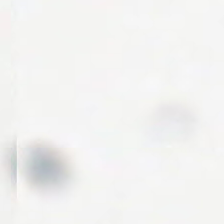Q: Classify this patch.
A: It is empty background.
